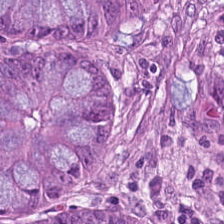H&E-stained tissue section.
Classification = adenocarcinoma.
